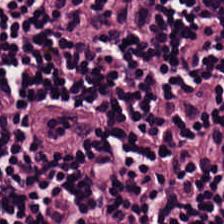Q: What is shown in this field?
A: The field shows lymphocytic infiltrate.
